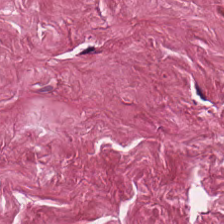H&E stain · WSI patch — {"tissue_type": "desmoplastic stroma"}
